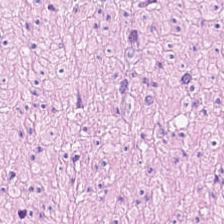H&E — Showing smooth-muscle tissue.
